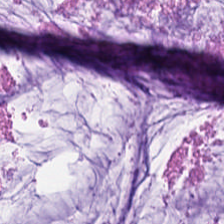Hematoxylin-and-eosin stained section. {"tissue_type": "mucin"}
